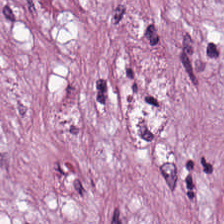Stain: hematoxylin and eosin.
Tissue type: tumor-associated stroma.
